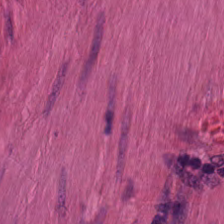0.5 µm per pixel; H&E stain. Predominantly muscularis.
